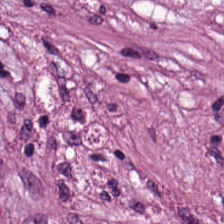H&E-stained section; the field shows tumor stroma.
